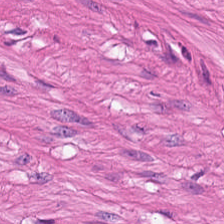Stain: H&E-stained tissue section.
Tile size: 224×224 px patch.
Predominant tissue: smooth muscle.
